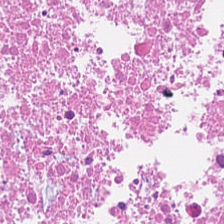Hematoxylin and eosin. Formalin-fixed paraffin-embedded section.
Q: What type of tissue is this?
A: The field shows necrotic debris.
